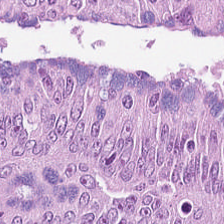Hematoxylin and eosin.
Finding → malignant epithelium.
